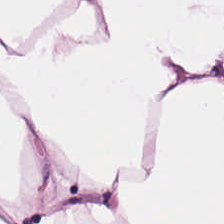H&E.
Predominantly adipose tissue.
